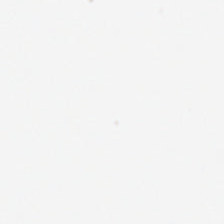Whole-slide-image patch · hematoxylin-and-eosin stained section — Finding — background (no tissue).
